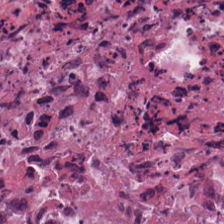0.5 µm/px. 224×224 pixel tile. H&E — This field is cellular debris.
